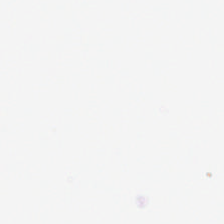0.5 µm per pixel · H&E stain — Histology → background.
